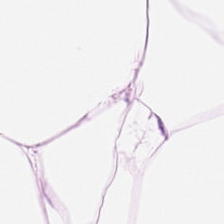H&E-stained tissue section.
Classification: adipose.
